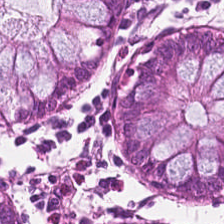0.5 microns per pixel; hematoxylin and eosin — The tissue class is normal colonic mucosa.
